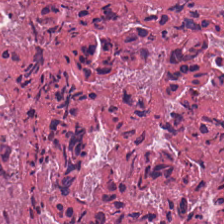H&E-stained tissue section showing cellular debris.
